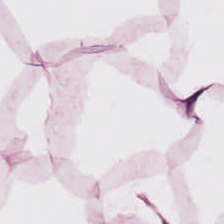H&E stain. Showing adipose tissue.
